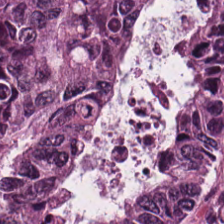Hematoxylin-and-eosin stained section · 224×224 pixel tile. Classification = malignant epithelium.
